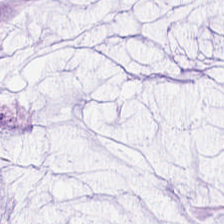H&E stain — Tissue type = extracellular mucin.
